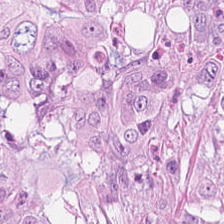224×224 px patch · hematoxylin and eosin. Tumor epithelium.
